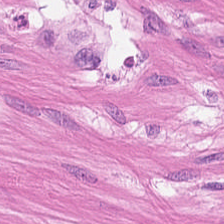224×224 px tile. 0.5 µm/px. H&E.
Predominant tissue: smooth-muscle tissue.
